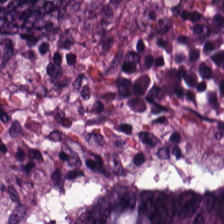H&E-stained tissue section. The tissue class is colorectal adenocarcinoma epithelium.
